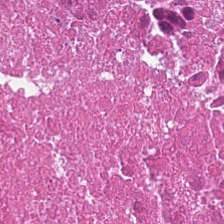Hematoxylin-and-eosin stained section.
Q: Classify this patch.
A: This is necrotic debris.
